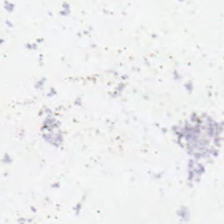Hematoxylin and eosin.
The field content is background.
